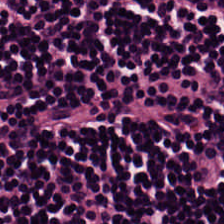H&E-stained tissue section; 224×224 pixel tile.
Tissue type — lymphocyte aggregate.
